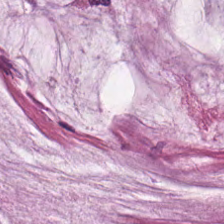H&E stain — Tissue type = mucin.
